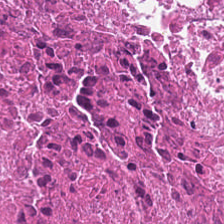Hematoxylin-and-eosin section: debris.
